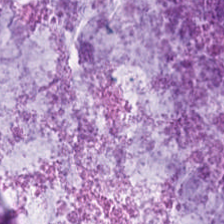Hematoxylin-and-eosin stained section · 224×224 px tile · whole-slide-image patch.
Predominantly mucus.
